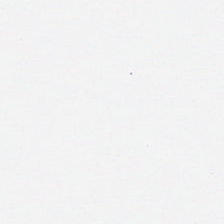Hematoxylin and eosin; 224×224 pixel tile. This patch shows background (no tissue).
